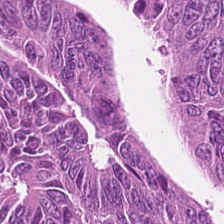0.5 microns per pixel; 224×224 px patch; hematoxylin and eosin. Histology — adenocarcinoma.
